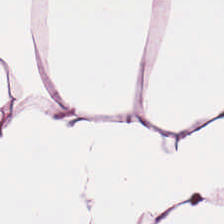H&E stain. The tissue here is adipocytes.
